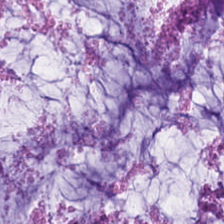Hematoxylin and eosin — Showing mucin.
